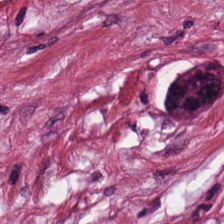H&E stain.
Q: What is the predominant tissue type?
A: It is tumor-associated stroma.
